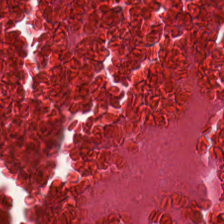H&E stain — This patch shows debris.
